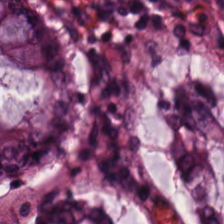H&E. The classification is non-neoplastic colon mucosa.
